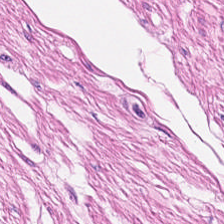Hematoxylin and eosin; 224×224 px tile — The tissue is smooth muscle.
